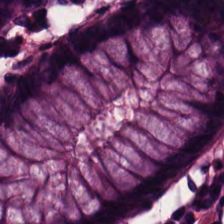H&E-stained tissue section; FFPE — Finding → normal colonic mucosa.
